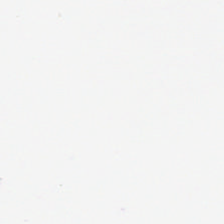H&E — This field is background (no tissue).
